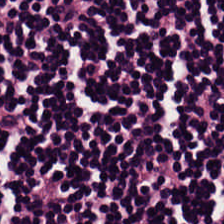WSI patch; hematoxylin-and-eosin stained section.
Finding — lymphocytes.
